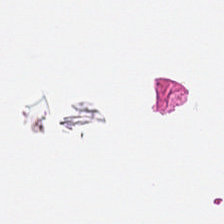Hematoxylin and eosin; 224×224 px tile.
Background — no tissue in this field.
